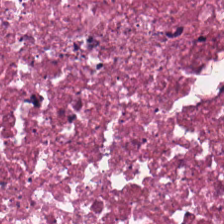H&E-stained tissue section — Q: What is shown in this field?
A: It is necrotic debris.
